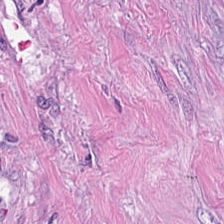224×224 px patch. H&E.
Tissue — cancer-associated stroma.
